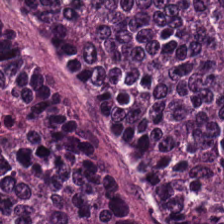H&E-stained tissue section. WSI patch.
The tissue here is colorectal adenocarcinoma.
